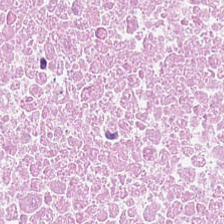0.5 µm/px · FFPE tissue section · H&E-stained tissue section. Showing cellular debris.
